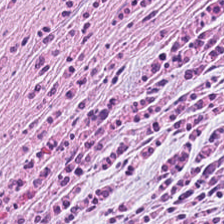Hematoxylin-and-eosin stained section — Predominant tissue: desmoplastic stroma.
